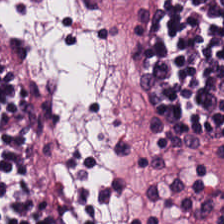H&E stain; 224×224 px patch. The predominant tissue is lymphocyte aggregate.
